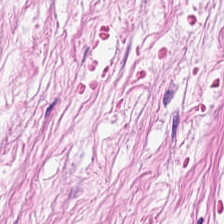This field is tumor stroma.
